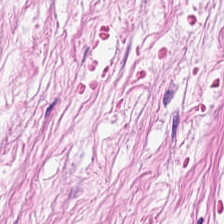This field is tumor stroma.
